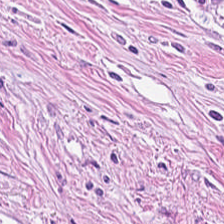0.5 µm per pixel; H&E; brightfield microscopy — Predominant tissue — desmoplastic stroma.
